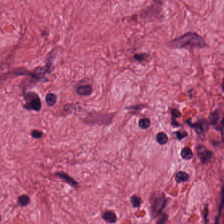H&E-stained tissue section. 20× equivalent magnification — Showing tumor-associated stroma.
